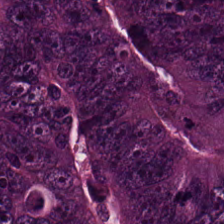20× equivalent magnification. H&E stain. The predominant tissue is adenocarcinoma.
